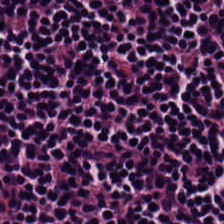H&E · 224×224 pixel tile · WSI patch.
This field is lymphocytic infiltrate.
